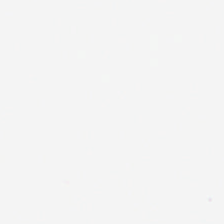Stain: H&E-stained tissue section.
Field content: empty background.
